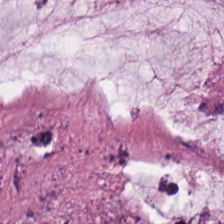WSI patch; H&E. The predominant tissue is extracellular mucin.
